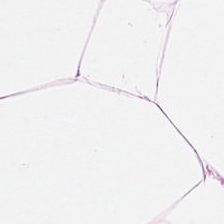Hematoxylin-and-eosin stained section.
Q: What tissue is shown?
A: This is fat tissue.
